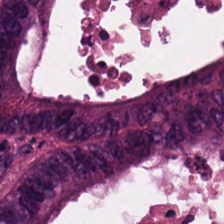Tissue — malignant epithelium.
